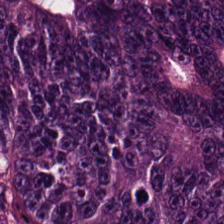H&E-stained tissue section. Q: What type of tissue is this?
A: This is colorectal adenocarcinoma.
